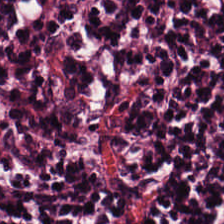H&E.
This field is lymphoid infiltrate.
